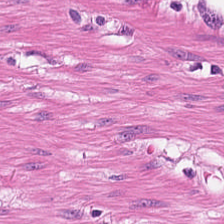H&E patch showing smooth-muscle tissue.
